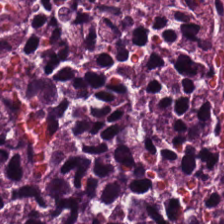0.5 µm/px. H&E.
The tissue here is lymphocytes.
